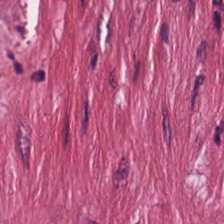Hematoxylin and eosin · brightfield.
Desmoplastic stroma.
